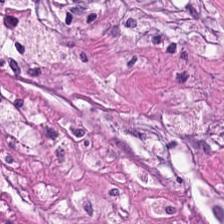Showing cellular debris.
